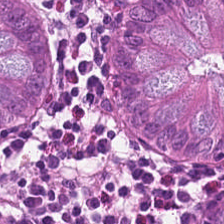H&E-stained tissue section. Classification: non-neoplastic colon mucosa.
